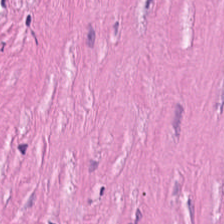Stain: H&E-stained tissue section.
Tissue class: cancer-associated stroma.
